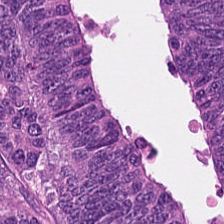Stain: hematoxylin and eosin.
Preparation: formalin-fixed paraffin-embedded section.
Tile size: 224×224 pixel tile.
Tissue: tumor epithelium.
